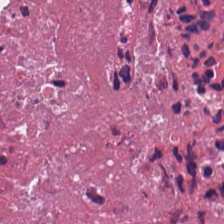Brightfield microscopy; H&E-stained tissue section — Impression — cellular debris.
